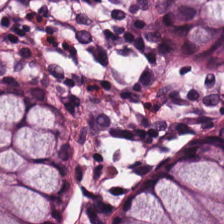Hematoxylin-and-eosin stained section — This field is normal colon mucosa.
